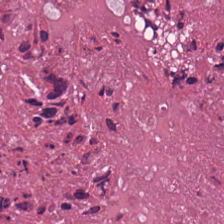FFPE · H&E stain. Q: What type of tissue is this?
A: The field shows necrotic debris.
